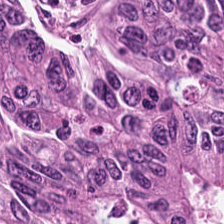H&E-stained tissue section.
This patch shows colorectal adenocarcinoma.
